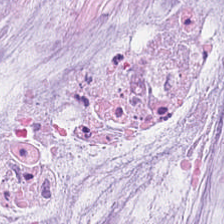Stain: hematoxylin-and-eosin stained section.
Classification: extracellular mucin.
